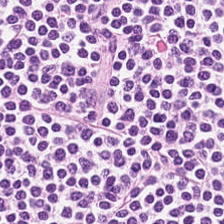H&E. Classification — lymphocytic infiltrate.
